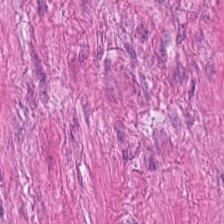224×224 px tile. H&E stain. This patch shows muscularis.
